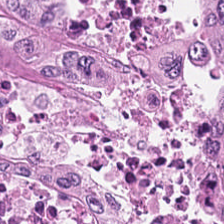H&E stain. This patch shows malignant epithelium.
